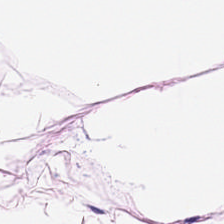H&E-stained tissue section · WSI patch · 224×224 px tile. {"tissue_type": "adipose tissue"}
